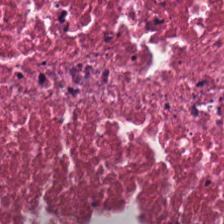Hematoxylin-and-eosin stained section; formalin-fixed paraffin-embedded section — Tissue — cellular debris.
